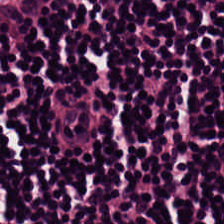Hematoxylin-and-eosin stained section; 0.5 µm/px — This patch shows lymphocyte aggregate.
